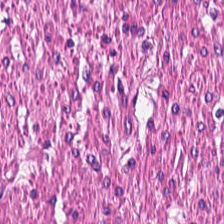Stain: H&E.
Classification: muscularis.
